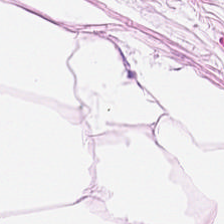{"tissue_type": "fat tissue"}
